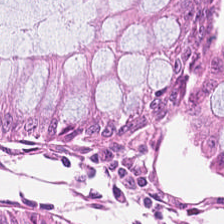Hematoxylin and eosin; formalin-fixed paraffin-embedded section — Tissue class — benign colonic mucosa.
